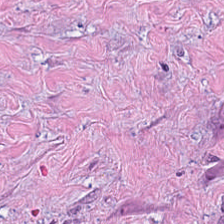H&E stain — Predominantly tumor stroma.
